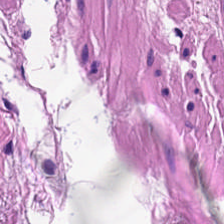Impression — muscularis.
